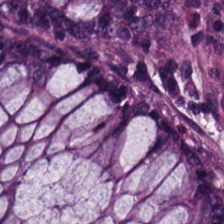Tissue class: normal colon mucosa.
